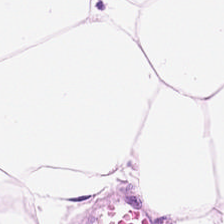H&E-stained tissue section. {"tissue_type": "fat tissue"}
